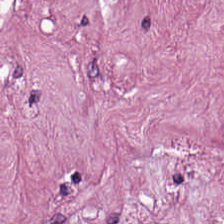224×224 pixel tile; hematoxylin-and-eosin stained section; FFPE. The tissue class is tumor-associated stroma.
